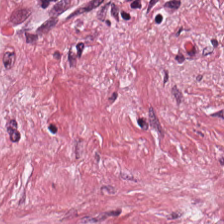Showing cancer-associated stroma.
